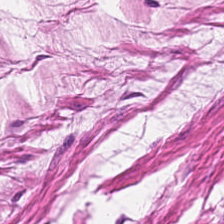0.5 µm per pixel; hematoxylin and eosin.
{"tissue_type": "smooth muscle"}
